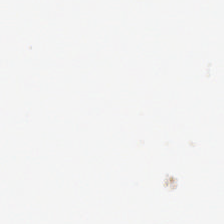Stain: H&E.
Content: no tissue.
